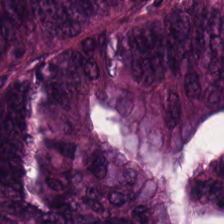This patch shows tumor epithelium.
